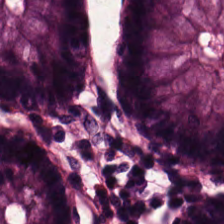224×224 pixel tile; hematoxylin-and-eosin stained section. Q: What tissue type is shown here?
A: It is normal colon mucosa.
